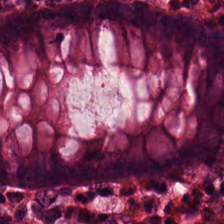Hematoxylin-and-eosin stained section; whole-slide-image patch — Predominant tissue: normal colon mucosa.
